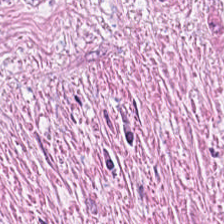Tissue class = desmoplastic stroma.
